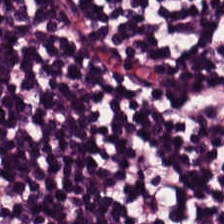H&E. 20× equivalent magnification. Brightfield microscopy — Classification: lymphocyte aggregate.
